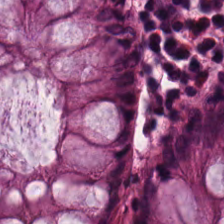The tissue here is normal colonic mucosa.
